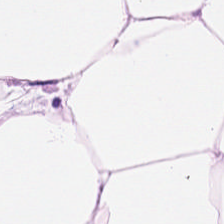Finding → adipocytes.
